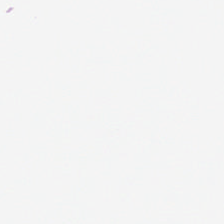Hematoxylin and eosin · 0.5 µm/px.
This field is background (no tissue).
